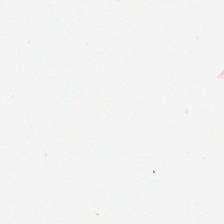Hematoxylin and eosin. Impression — background (no tissue).
